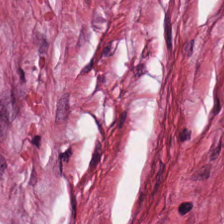224×224 px patch; hematoxylin-and-eosin stained section — This field is tumor stroma.
